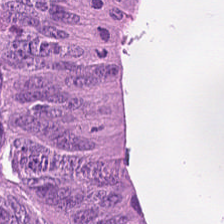224×224 px patch; FFPE tissue section; H&E-stained tissue section — This patch shows tumor epithelium.
